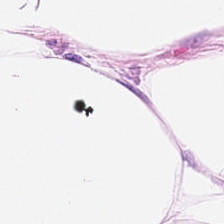Hematoxylin-and-eosin stained section. Q: What does this patch show?
A: Adipose tissue.
